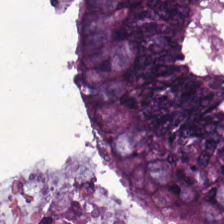H&E stain.
Adenocarcinoma.
